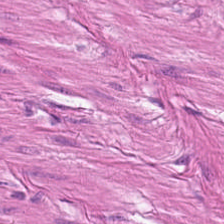FFPE. 0.5 µm per pixel. Hematoxylin and eosin.
Showing smooth muscle.
